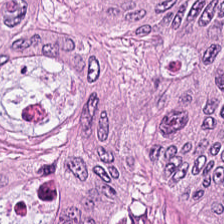Q: What is shown in this field?
A: Tumor epithelium.
